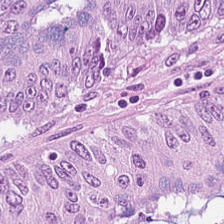H&E-stained tissue section.
Predominantly colorectal adenocarcinoma.
